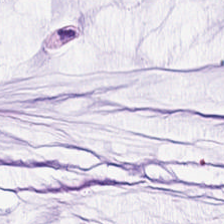H&E.
Histology — extracellular mucin.
